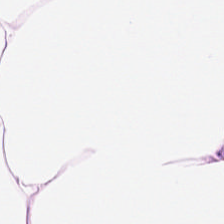0.5 microns per pixel · H&E-stained tissue section · formalin-fixed paraffin-embedded section — Showing fat tissue.
